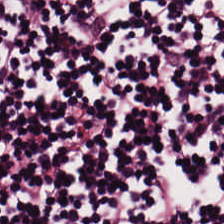Brightfield · H&E stain · 224×224 pixel tile — The predominant tissue is lymphocyte aggregate.
